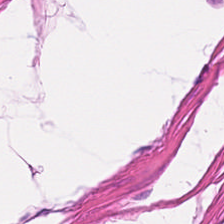Hematoxylin-and-eosin stained section. Q: What does this patch show?
A: This is muscularis.
